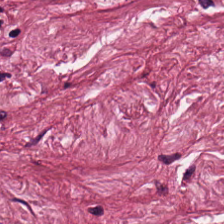224×224 px tile. Hematoxylin-and-eosin stained section. FFPE — Tissue class — tumor-associated stroma.
